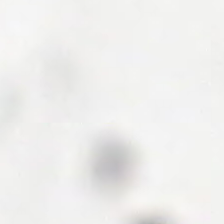Hematoxylin and eosin. 20× equivalent magnification — Background — no tissue in this field.
